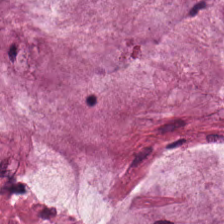H&E stain.
The classification is mucin.
